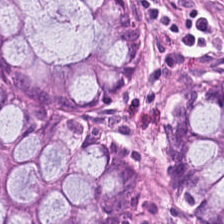Brightfield. H&E.
Finding — normal colon mucosa.
